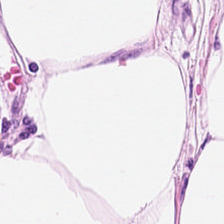H&E stain. The predominant tissue is adipocytes.
